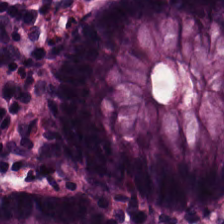H&E-stained tissue section — Predominant tissue = non-neoplastic colon mucosa.
